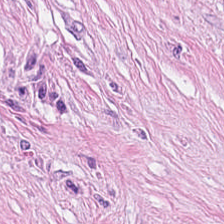Stain: H&E-stained tissue section.
Classification: tumor stroma.
